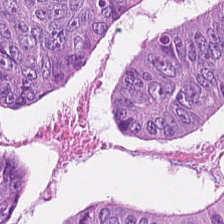H&E-stained section; the field shows malignant epithelium.
